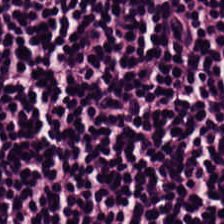0.5 µm/px. H&E stain. Formalin-fixed paraffin-embedded section. Classification = lymphoid infiltrate.
